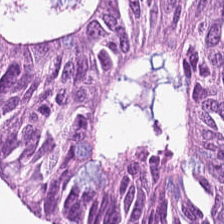224×224 pixel tile · H&E — The tissue type is adenocarcinoma.
